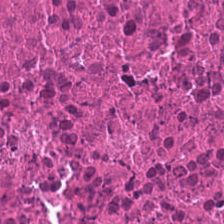H&E — debris.
